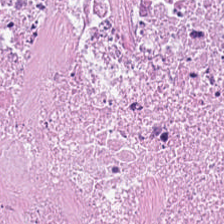Stain: H&E.
Preparation: FFPE.
Tissue class: necrotic debris.
